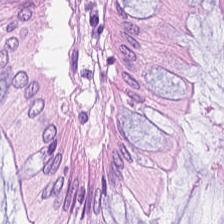Hematoxylin-and-eosin stained section — Finding → non-neoplastic colon mucosa.
